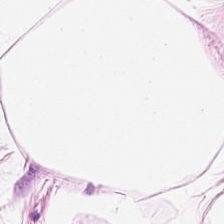Hematoxylin and eosin — Predominant tissue: adipocytes.
